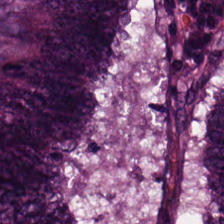Whole-slide-image patch; H&E stain. Predominant tissue: adenocarcinoma.
